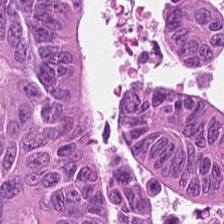H&E. Q: Classify this patch.
A: It is malignant epithelium.
